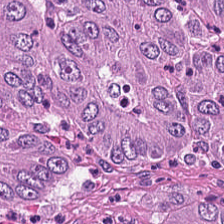224×224 px tile · FFPE · hematoxylin and eosin — Predominant tissue — tumor epithelium.
